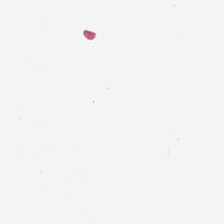Stain: hematoxylin and eosin.
Acquisition: whole-slide-image patch.
Content: background (no tissue).
